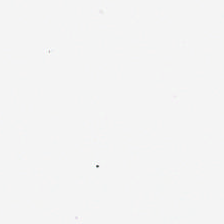Stain: hematoxylin and eosin.
Field content: background.
